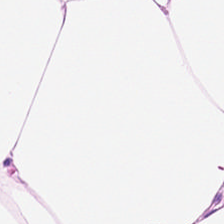Hematoxylin-and-eosin stained section — Finding → adipose.
